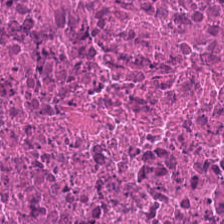20× equivalent magnification · hematoxylin-and-eosin stained section.
Tissue type: necrotic debris.
